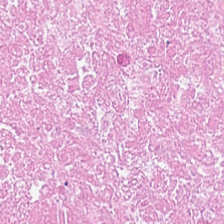H&E. Finding — necrotic debris.
